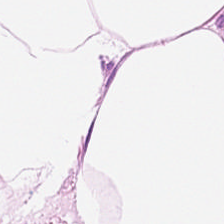Hematoxylin-and-eosin stained section. 224×224 pixel tile.
Impression → adipose tissue.
